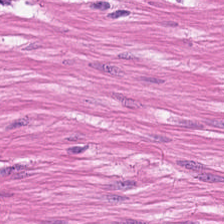H&E — Q: What is the predominant tissue type?
A: The field shows muscularis.
